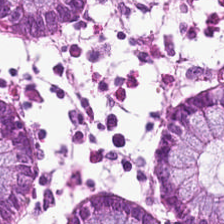H&E. 224×224 px patch.
Classification — normal colon mucosa.
